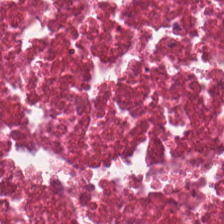Predominant tissue: necrotic debris.
